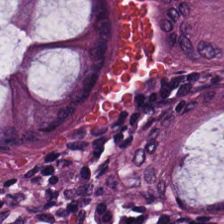Predominant tissue = normal colon mucosa.
